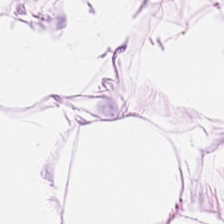0.5 microns per pixel · H&E-stained tissue section · 224×224 px tile — {"tissue_type": "adipocytes"}
